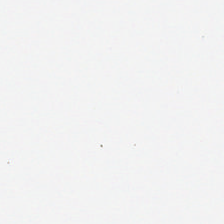20× equivalent magnification; 224×224 px patch; H&E stain — No tissue present; background only.
